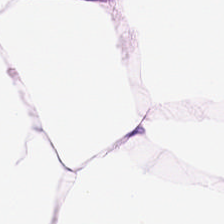Hematoxylin and eosin; 224×224 px tile. Showing fat tissue.
